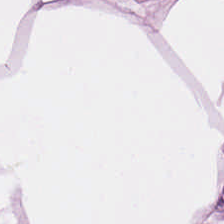H&E. Fat tissue.
